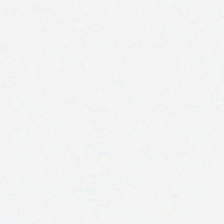Empty background.
